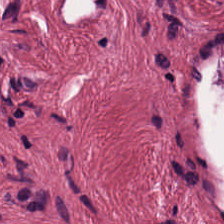H&E patch showing desmoplastic stroma.
